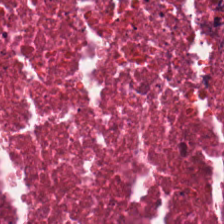Hematoxylin and eosin; 224×224 px patch. Showing necrotic debris.
